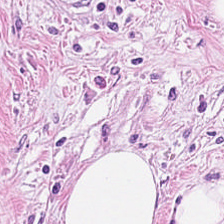H&E-stained tissue section. Q: What tissue type is shown here?
A: This is cancer-associated stroma.
